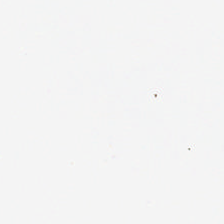Hematoxylin and eosin.
This patch shows background (no tissue).
